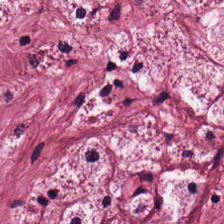H&E stain. FFPE — The predominant tissue is tumor-associated stroma.
